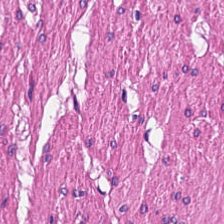Stain: H&E stain.
Predominant tissue: smooth muscle.
